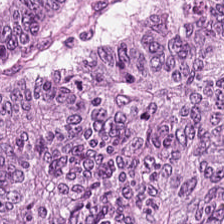0.5 microns per pixel · hematoxylin-and-eosin stained section.
This patch shows colorectal adenocarcinoma.
